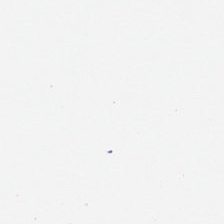Hematoxylin and eosin · brightfield microscopy. Empty background.
